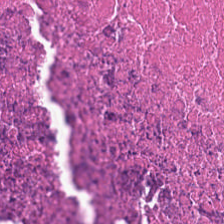20× equivalent magnification; FFPE tissue section; hematoxylin and eosin.
Q: What is the predominant tissue type?
A: Cellular debris.
